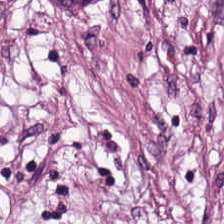H&E — Histology → desmoplastic stroma.
